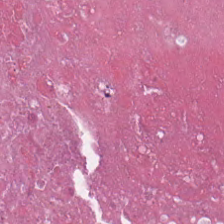Stain: H&E-stained tissue section.
Predominant tissue: necrotic debris.
